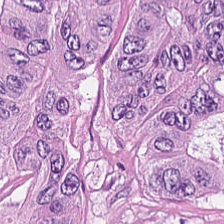H&E — Predominantly malignant epithelium.
